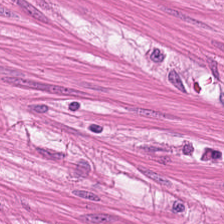H&E stain — Predominantly smooth-muscle tissue.
